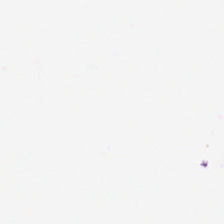No tissue present; background only.
